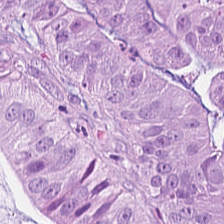H&E — Adenocarcinoma.
